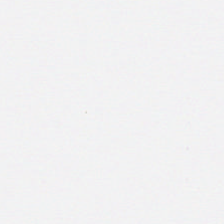This field is background (no tissue).
